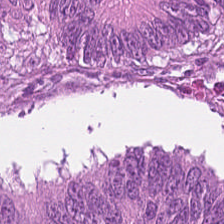Hematoxylin-and-eosin stained section. Whole-slide-image patch. 224×224 pixel tile — Q: What tissue type is shown here?
A: Tumor epithelium.
